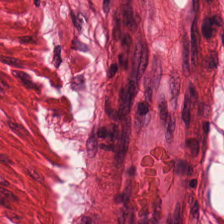Q: What does this patch show?
A: The field shows muscularis.
